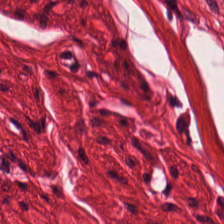Hematoxylin and eosin. Showing muscularis.
